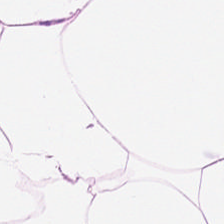Q: What is shown in this field?
A: Adipocytes.
